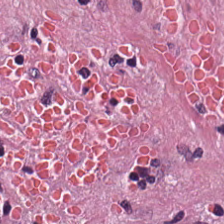Stain: H&E stain.
Resolution: 20× equivalent magnification.
Acquisition: brightfield microscopy.
Classification: desmoplastic stroma.
